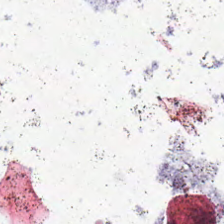Stain: H&E.
Classification: no tissue.
